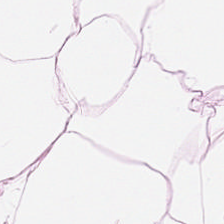H&E. 224×224 px patch. WSI patch. Tissue class — adipose tissue.
